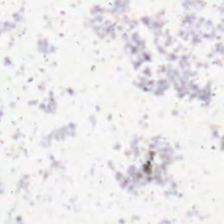Histology → background (no tissue).
